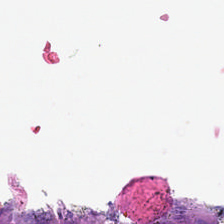{"content": "empty background"}
